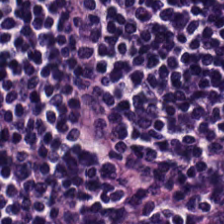Hematoxylin and eosin. WSI patch. 20× equivalent magnification.
Q: What is shown here?
A: Lymphoid infiltrate.
